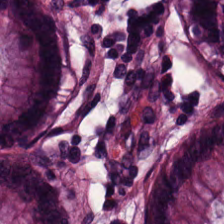H&E-stained tissue section. Whole-slide-image patch. FFPE tissue section — Q: What tissue type is shown here?
A: Normal colonic mucosa.
